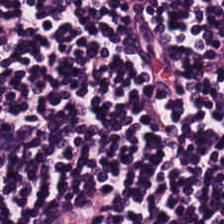Stain: hematoxylin and eosin.
Tissue: lymphocytes.
